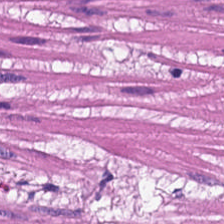H&E stain — Tissue = muscularis.
